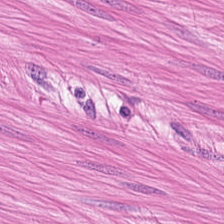Hematoxylin-and-eosin stained section. Tissue type: smooth-muscle tissue.
